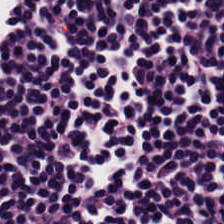H&E. 20× equivalent magnification — Showing lymphoid infiltrate.
